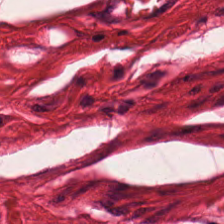Stain: H&E-stained tissue section.
Tile size: 224×224 pixel tile.
Predominant tissue: smooth muscle.
